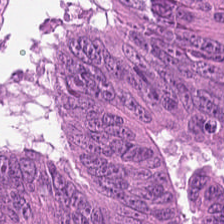H&E-stained tissue section — The predominant tissue is adenocarcinoma.
